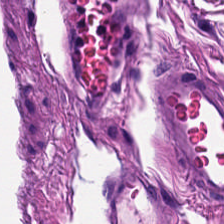Hematoxylin and eosin.
{"tissue_type": "muscularis"}
